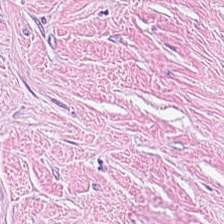Stain: hematoxylin and eosin.
Tissue: tumor stroma.
